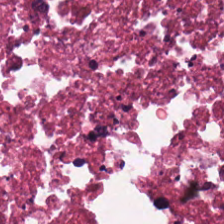Hematoxylin and eosin. FFPE tissue section.
{"tissue_type": "necrotic debris"}
